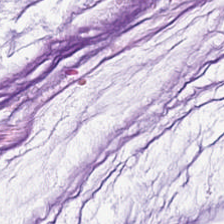0.5 µm/px. Hematoxylin-and-eosin stained section — Impression — mucin.
